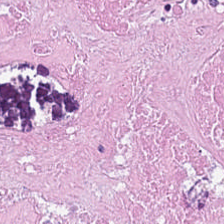Whole-slide-image patch; 20× equivalent magnification; H&E stain. The tissue here is debris.
